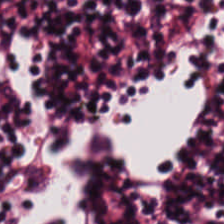Hematoxylin and eosin. 224×224 px patch — {"tissue_type": "lymphocytes"}
